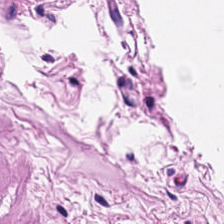Hematoxylin-and-eosin stained section. Finding — smooth muscle.
